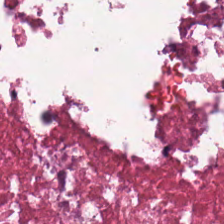The classification is debris.
